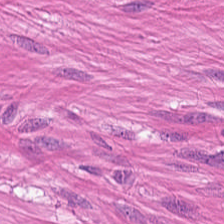Hematoxylin and eosin.
This field is smooth-muscle tissue.
